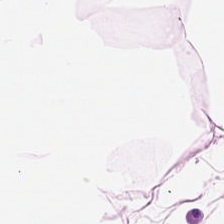H&E.
Classification: adipose tissue.
